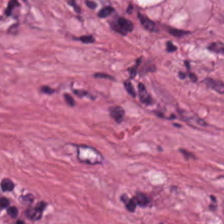H&E patch showing tumor-associated stroma.
